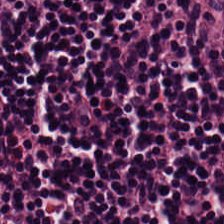0.5 µm/px; FFPE; H&E stain.
Q: What is shown in this field?
A: Lymphocytes.
